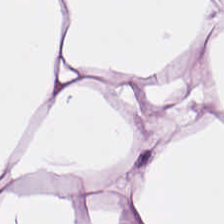Hematoxylin and eosin · 0.5 µm per pixel.
Predominantly fat tissue.
